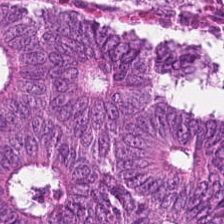Hematoxylin-and-eosin stained section · 224×224 px patch. The predominant tissue is adenocarcinoma.
